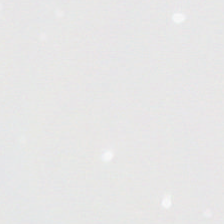Stain: hematoxylin-and-eosin stained section.
Content: empty background.
